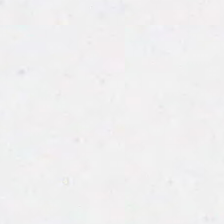H&E. {"content": "no tissue"}
